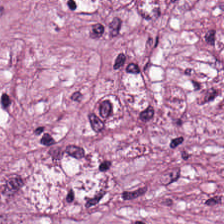Hematoxylin-and-eosin stained section. The classification is tumor stroma.
